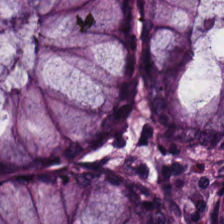Hematoxylin-and-eosin stained section. The tissue here is normal colon mucosa.
